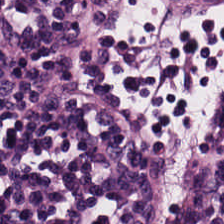Showing lymphocytic infiltrate.
